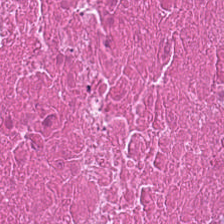Hematoxylin and eosin.
The tissue is cellular debris.
